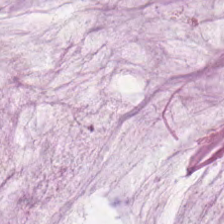Whole-slide-image patch · H&E-stained tissue section — Tissue class = mucus.
